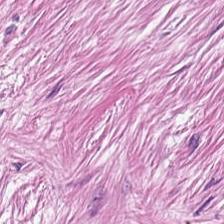Hematoxylin and eosin. Tissue class = tumor stroma.
